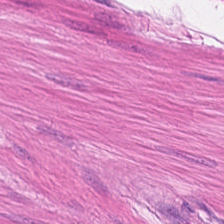Hematoxylin-and-eosin stained section; formalin-fixed paraffin-embedded section; 0.5 µm/px. Q: Classify this patch.
A: This is muscularis.
